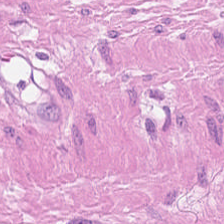Stain: hematoxylin and eosin.
Resolution: 0.5 µm/px.
Preparation: FFPE.
Tissue class: smooth-muscle tissue.
